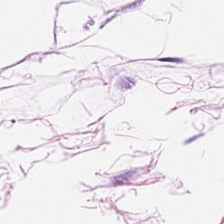This field is adipose tissue.
